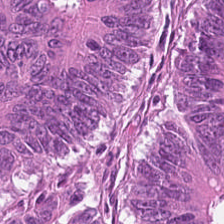Hematoxylin and eosin — The tissue here is colorectal adenocarcinoma.
